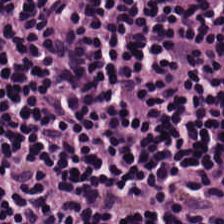H&E-stained tissue section. Finding — lymphocytic infiltrate.
